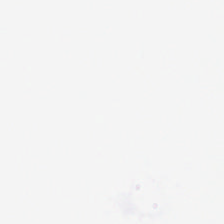Field content = background (no tissue).
